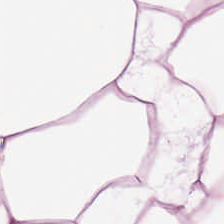224×224 px tile · hematoxylin and eosin — Adipose.
